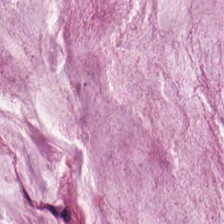Stain: H&E-stained tissue section.
Tile size: 224×224 px tile.
Predominant tissue: extracellular mucin.
